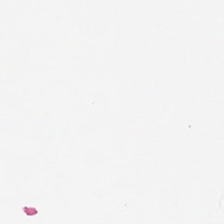224×224 px tile · hematoxylin and eosin.
Empty field — background (no tissue).
